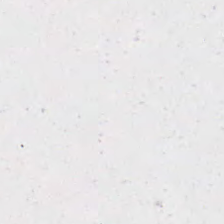Stain: hematoxylin-and-eosin stained section.
Content: background.
